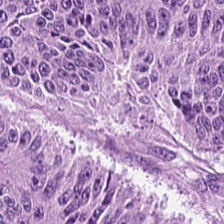This field is adenocarcinoma.
